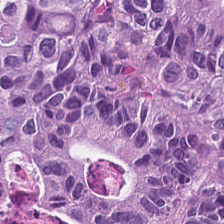Hematoxylin and eosin.
Tissue class = adenocarcinoma.
